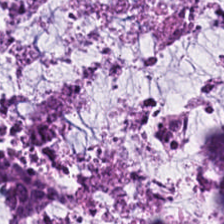Histology → mucus.
